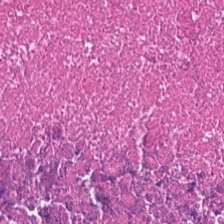Hematoxylin and eosin · brightfield microscopy. Tissue class: necrotic debris.
